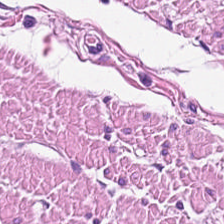Stain: hematoxylin and eosin.
Tissue type: smooth-muscle tissue.
